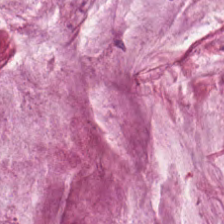Histology → mucin.
